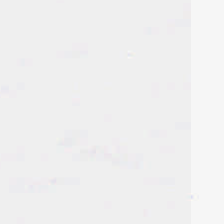Formalin-fixed paraffin-embedded section. H&E.
Background — no tissue in this field.
